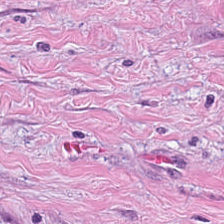Hematoxylin-and-eosin stained section; 0.5 µm per pixel. {"tissue_type": "cancer-associated stroma"}
